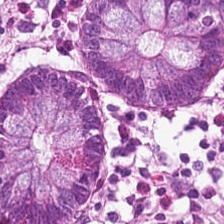FFPE tissue section; hematoxylin and eosin.
This patch shows normal colonic mucosa.
